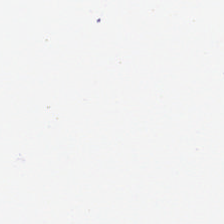Hematoxylin-and-eosin stained section.
Q: What does this patch show?
A: It is no tissue.
